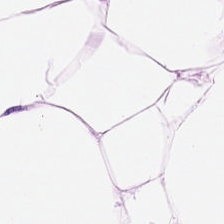H&E-stained tissue section — Tissue class — adipose.
